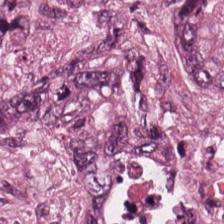Hematoxylin and eosin — Colorectal adenocarcinoma epithelium.
